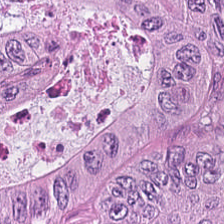Hematoxylin-and-eosin stained section.
Finding — adenocarcinoma.
